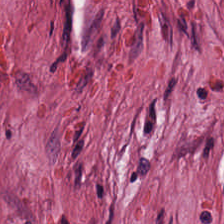Stain: H&E-stained tissue section.
Tissue type: cancer-associated stroma.
